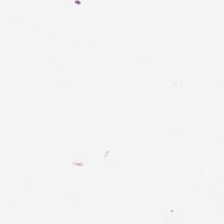0.5 µm/px · H&E stain. Field content: empty background.
